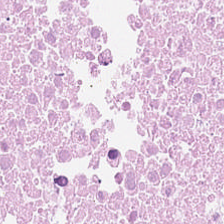Hematoxylin-and-eosin stained section. The predominant tissue is cellular debris.
